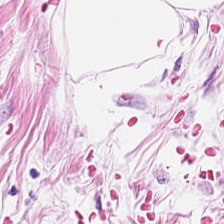H&E · brightfield · 20× equivalent magnification.
This patch shows adipose tissue.
